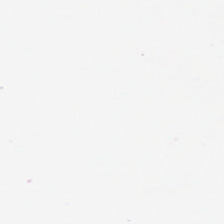Hematoxylin-and-eosin stained section — Q: What is shown here?
A: This is background.
